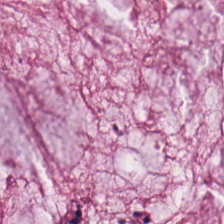Hematoxylin-and-eosin stained section.
Predominant tissue = mucus.
